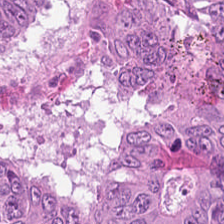Histology → tumor epithelium.
